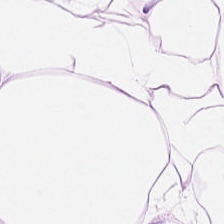H&E — fat tissue.
